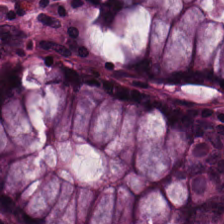Predominantly benign colonic mucosa.
